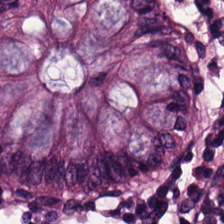This patch shows non-neoplastic colon mucosa.
